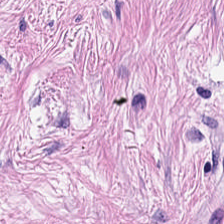20× equivalent magnification. Hematoxylin-and-eosin stained section. Brightfield.
Tissue class = tumor stroma.
